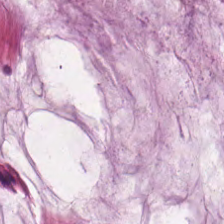H&E-stained tissue section. 224×224 px patch. 0.5 µm per pixel — Q: What tissue type is shown here?
A: This is mucus.
